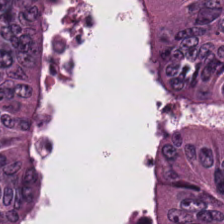Stain: hematoxylin-and-eosin stained section.
Resolution: 20× equivalent magnification.
Tissue: tumor epithelium.
